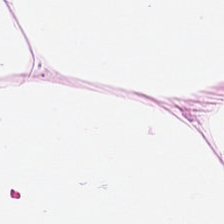H&E. FFPE.
Adipose.
